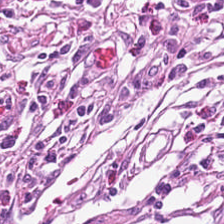Stain: H&E-stained tissue section.
Preparation: FFPE.
Acquisition: brightfield microscopy.
Predominant tissue: cancer-associated stroma.
